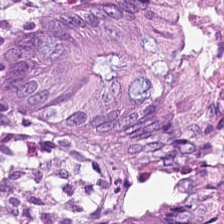Hematoxylin and eosin. Tissue = normal colon mucosa.
